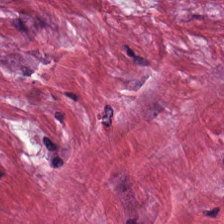H&E-stained section; the field shows tumor stroma.
